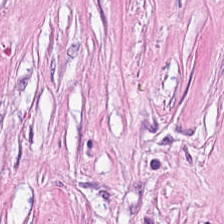Stain: hematoxylin and eosin.
Acquisition: whole-slide-image patch.
Tissue type: desmoplastic stroma.
